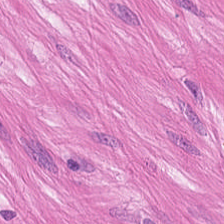H&E-stained tissue section — Q: Identify the tissue.
A: It is muscularis.
